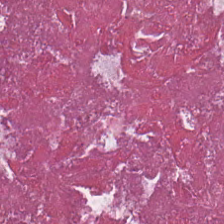H&E stain — Predominantly necrotic debris.
